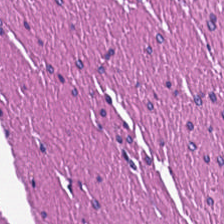Brightfield. Hematoxylin-and-eosin stained section.
Q: What does this patch show?
A: Smooth muscle.
